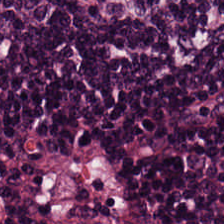The tissue type is lymphocytes.
